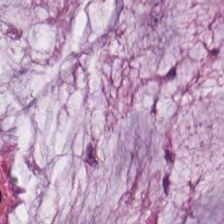Tissue = mucin.
